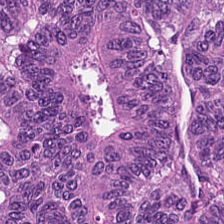Brightfield microscopy. H&E. 0.5 µm per pixel. This field is tumor epithelium.
